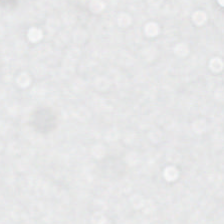Hematoxylin-and-eosin stained section.
Content = empty background.
